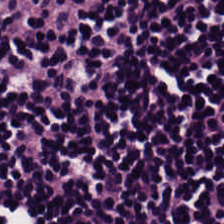H&E. Impression → lymphocytic infiltrate.
